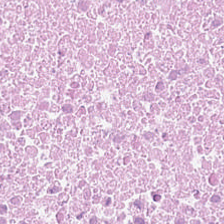Hematoxylin-and-eosin stained section.
This patch shows necrotic debris.
